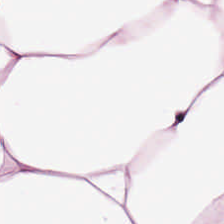Predominant tissue — fat tissue.
